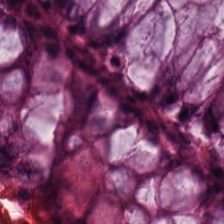Whole-slide-image patch · FFPE · hematoxylin and eosin. The tissue here is non-neoplastic colon mucosa.
